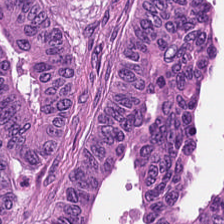20× equivalent magnification; H&E stain.
Tissue class = colorectal adenocarcinoma.
